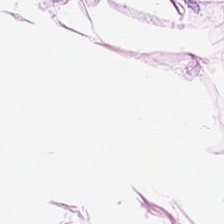224×224 px patch. H&E stain. This patch shows fat tissue.
